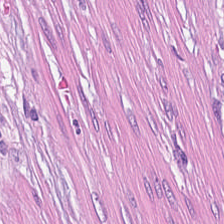Stain: H&E.
Acquisition: brightfield microscopy.
Tile size: 224×224 pixel tile.
Tissue type: cancer-associated stroma.
